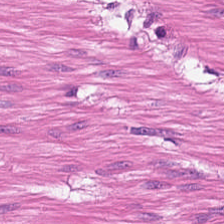H&E-stained section; the field shows smooth-muscle tissue.
